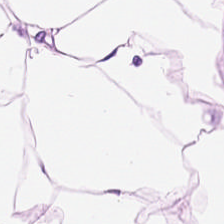H&E-stained tissue section — The classification is adipose.
